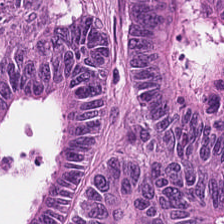224×224 px tile. FFPE tissue section. H&E stain — Q: Classify this patch.
A: Tumor epithelium.
